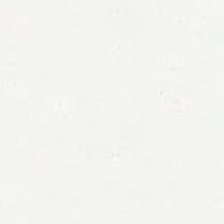H&E stain. 224×224 px patch. 0.5 µm per pixel — Q: What does this patch show?
A: Background (no tissue).
